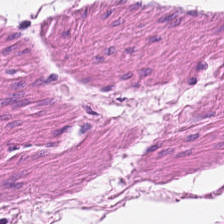Formalin-fixed paraffin-embedded section · hematoxylin and eosin · 0.5 µm per pixel — Showing smooth muscle.
